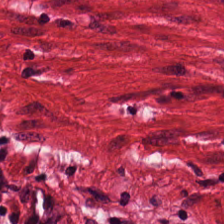224×224 px patch; H&E stain. Q: Classify this patch.
A: This is muscularis.
